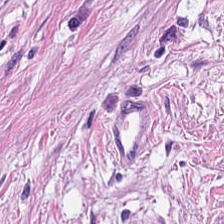Hematoxylin and eosin; 20× equivalent magnification — Q: Identify the tissue.
A: The field shows muscularis.
